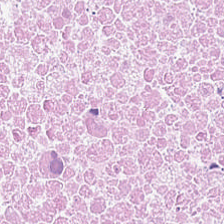H&E-stained tissue section. Q: Classify this patch.
A: The field shows necrotic debris.
